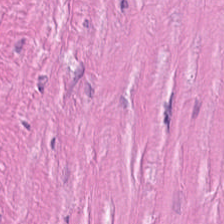224×224 px tile · hematoxylin and eosin.
The classification is tumor stroma.
